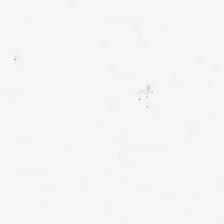Field content — background.
